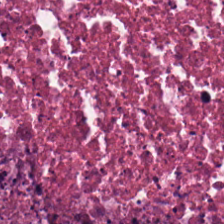Necrotic debris.
